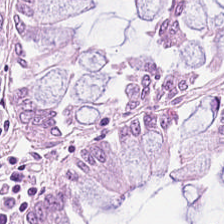Stain: H&E stain.
Resolution: 0.5 µm per pixel.
Classification: normal colonic mucosa.
